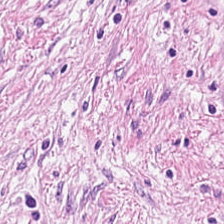Stain: H&E stain.
Tissue class: desmoplastic stroma.
